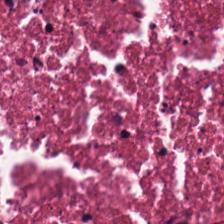H&E. Tissue type = necrotic debris.
